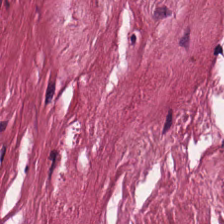20× equivalent magnification. H&E — Predominantly tumor stroma.
